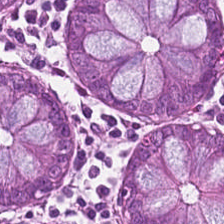Hematoxylin-and-eosin stained section. Predominantly benign colonic mucosa.
